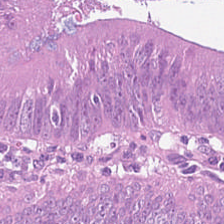224×224 px tile · H&E-stained tissue section — The predominant tissue is colorectal adenocarcinoma.
